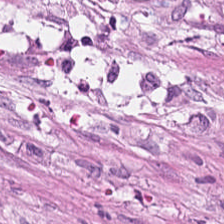224×224 px patch. Hematoxylin-and-eosin stained section. FFPE tissue section. Predominant tissue: tumor-associated stroma.
